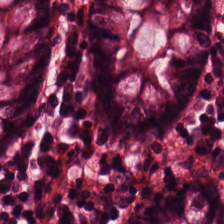H&E-stained tissue section showing normal colon mucosa.
